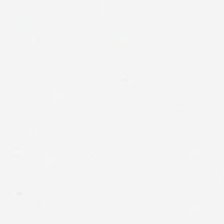H&E. {"content": "empty background"}
